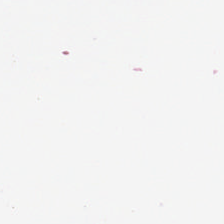Hematoxylin-and-eosin stained section. 224×224 px tile.
Background.
